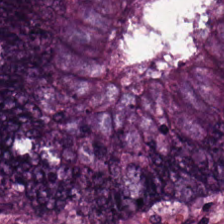224×224 px tile. Hematoxylin and eosin.
{"tissue_type": "tumor epithelium"}
